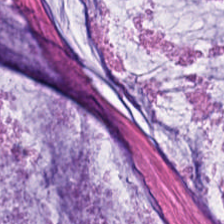0.5 µm per pixel; formalin-fixed paraffin-embedded section; H&E-stained tissue section — Histology — extracellular mucin.
